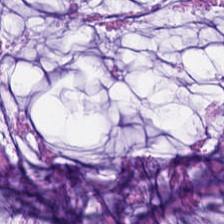Histology → extracellular mucin.
